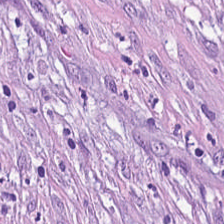Tissue type = tumor-associated stroma.
